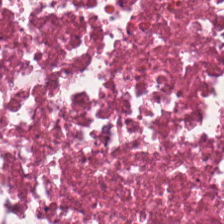Showing cellular debris.
